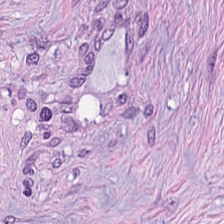Q: Classify this patch.
A: The field shows tumor-associated stroma.
